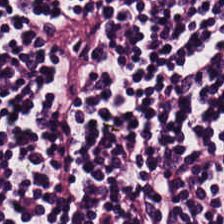{"tissue_type": "lymphocytes"}
